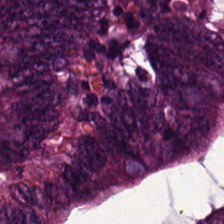Hematoxylin-and-eosin stained section.
{"tissue_type": "adenocarcinoma"}
